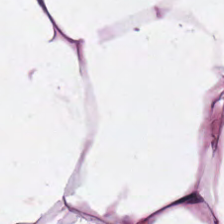H&E.
Q: What does this patch show?
A: Adipocytes.
